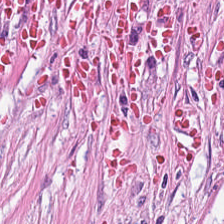H&E patch showing desmoplastic stroma.
